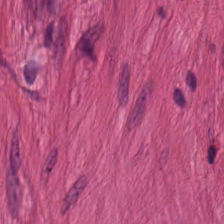H&E-stained tissue section. Tissue — muscularis.
